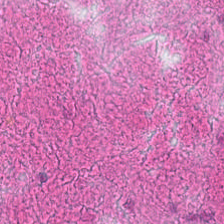224×224 px tile; H&E-stained tissue section; 20× equivalent magnification.
The predominant tissue is cellular debris.
